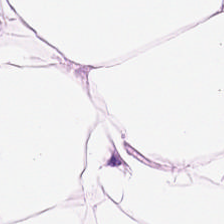H&E-stained tissue section — Q: What tissue is shown?
A: Adipocytes.
